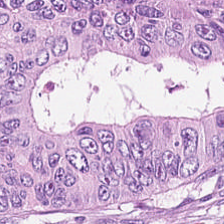Hematoxylin and eosin.
The tissue class is colorectal adenocarcinoma.
